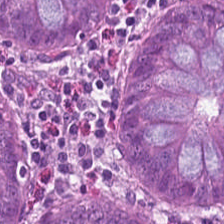H&E stain — Tissue type: normal colon mucosa.
